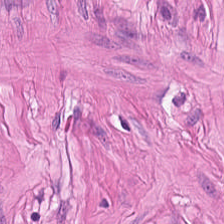H&E.
The tissue type is smooth-muscle tissue.
